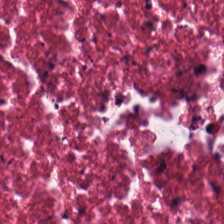Impression → debris.
